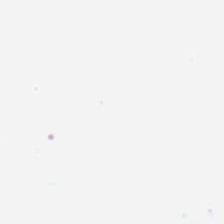Brightfield. 224×224 px patch. H&E. Background — no tissue in this field.
